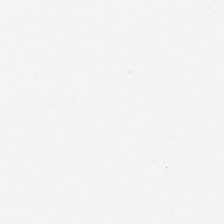H&E-stained tissue section. Finding → empty background.
